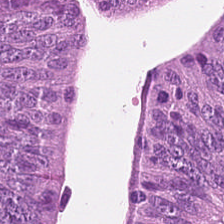224×224 px tile; FFPE; hematoxylin and eosin. Q: What is shown here?
A: Colorectal adenocarcinoma.
